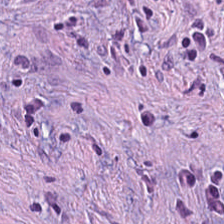H&E stain. Predominantly desmoplastic stroma.
